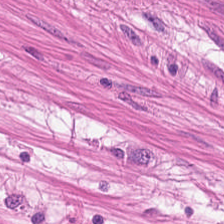Q: What does this patch show?
A: The field shows smooth-muscle tissue.
